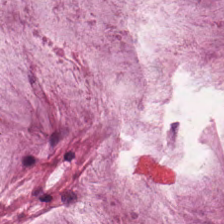Hematoxylin-and-eosin stained section. Whole-slide-image patch. 20× equivalent magnification. Predominant tissue: mucus.
